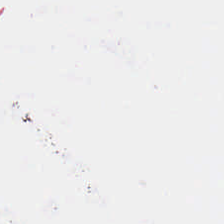0.5 µm/px · 224×224 px patch · hematoxylin and eosin.
Q: What does this patch show?
A: It is background.
